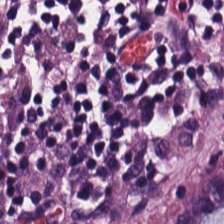H&E stain. Predominantly normal colon mucosa.
